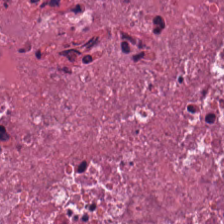H&E-stained tissue section.
Tissue: debris.
